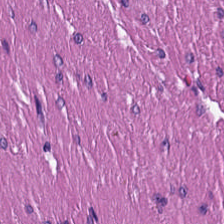0.5 µm/px · H&E — Smooth-muscle tissue.
